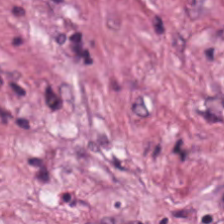H&E.
The tissue class is desmoplastic stroma.
